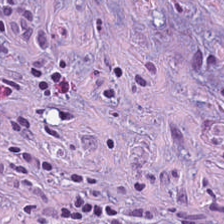Hematoxylin-and-eosin section: tumor-associated stroma.
